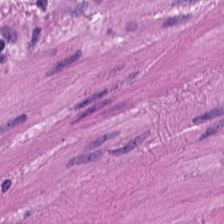Stain: H&E-stained tissue section.
Preparation: formalin-fixed paraffin-embedded section.
Acquisition: whole-slide-image patch.
Tissue class: smooth-muscle tissue.
